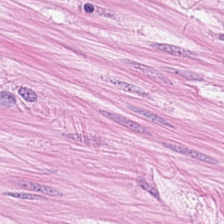Hematoxylin-and-eosin stained section — Finding → smooth-muscle tissue.
